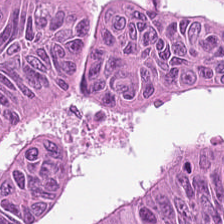224×224 pixel tile. H&E-stained tissue section — Predominantly colorectal adenocarcinoma epithelium.
